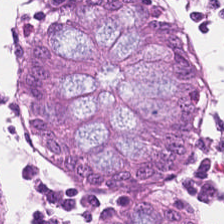224×224 px patch; H&E stain. This patch shows normal colonic mucosa.
